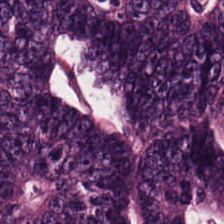Tissue class = colorectal adenocarcinoma epithelium.
